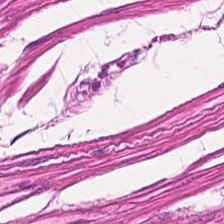H&E-stained tissue section. Formalin-fixed paraffin-embedded section. This patch shows muscularis.
